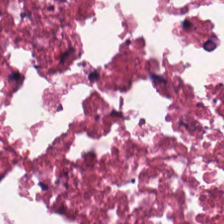H&E-stained tissue section — Q: What is the predominant tissue type?
A: Necrotic debris.
